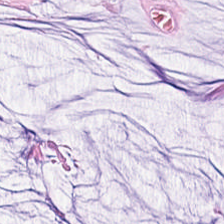H&E · 224×224 px patch.
Q: What tissue is shown?
A: Mucin.
